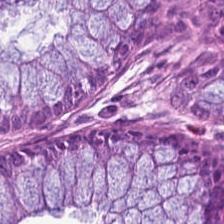Hematoxylin and eosin.
Tissue — normal colonic mucosa.
